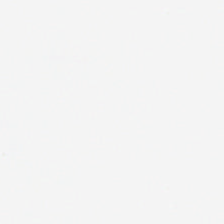Hematoxylin and eosin. This patch shows background.
